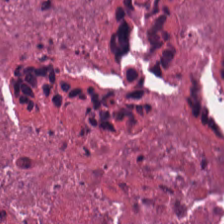H&E-stained tissue section · 224×224 px tile — Showing cellular debris.
